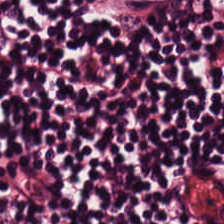WSI patch; H&E; 0.5 µm/px — The tissue is lymphocytes.
